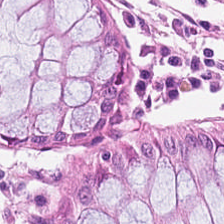Stain: hematoxylin-and-eosin stained section.
Tissue type: benign colonic mucosa.
